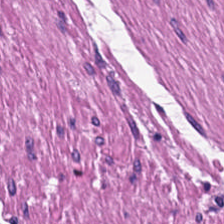Hematoxylin and eosin. FFPE tissue section. 0.5 microns per pixel — Q: Classify this patch.
A: Smooth-muscle tissue.
